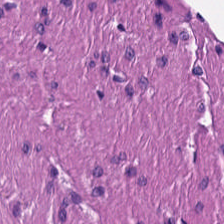Hematoxylin and eosin. Showing smooth-muscle tissue.
